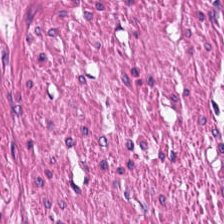H&E stain — This field is smooth muscle.
